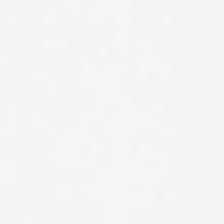WSI patch · H&E stain · 20× equivalent magnification.
{"content": "background (no tissue)"}
